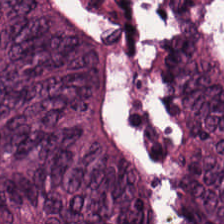The tissue is adenocarcinoma.
